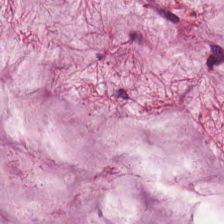Q: Classify this patch.
A: The field shows extracellular mucin.
